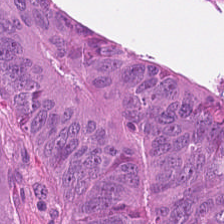Hematoxylin and eosin. Q: What tissue is shown?
A: It is malignant epithelium.
